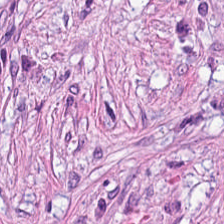H&E-stained tissue section — Q: What is shown in this field?
A: Cancer-associated stroma.
